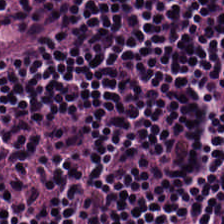Hematoxylin-and-eosin stained section.
Histology — lymphocytic infiltrate.
